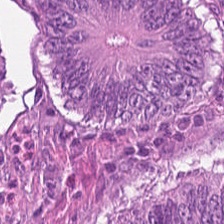H&E-stained tissue section — Predominantly tumor epithelium.
